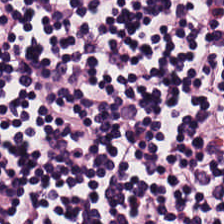Hematoxylin-and-eosin stained section. Classification — lymphocytes.
